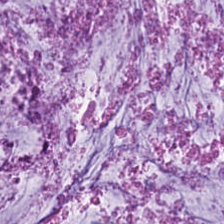H&E-stained tissue section — Tissue type: mucin.
